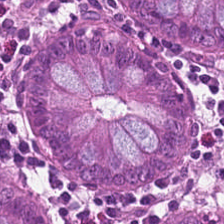Hematoxylin-and-eosin stained section.
Tissue class: normal colonic mucosa.
